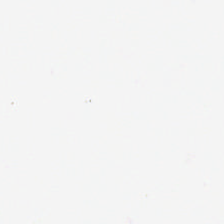Hematoxylin-and-eosin stained section.
No tissue.
